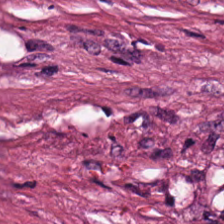H&E-stained tissue section; brightfield microscopy. This patch shows debris.
